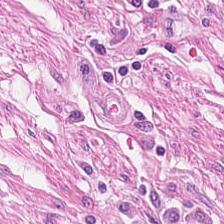H&E — Predominantly smooth-muscle tissue.
